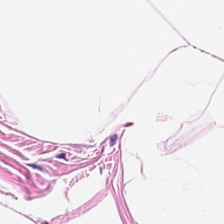Stain: hematoxylin-and-eosin stained section.
Preparation: formalin-fixed paraffin-embedded section.
Classification: fat tissue.
